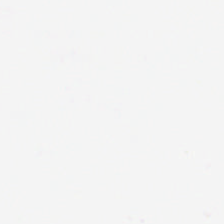Stain: H&E stain.
Tile size: 224×224 pixel tile.
Field content: empty background.
